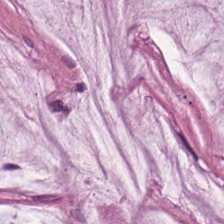0.5 µm per pixel; H&E.
Histology — extracellular mucin.
